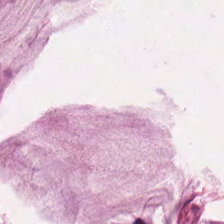FFPE; H&E stain; 20× equivalent magnification. Extracellular mucin.
